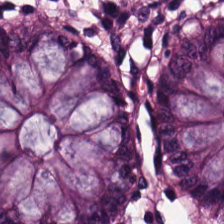H&E; 0.5 µm/px; brightfield. Q: What is the predominant tissue type?
A: It is benign colonic mucosa.
